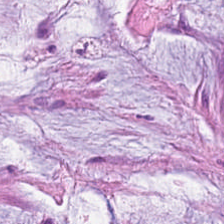This field is mucin.
